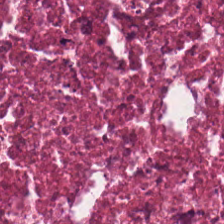The predominant tissue is debris.
